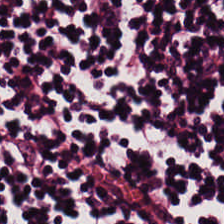Hematoxylin and eosin. Predominantly lymphocytes.
